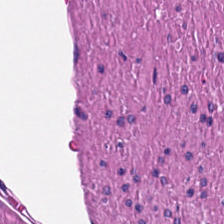H&E stain — This field is muscularis.
